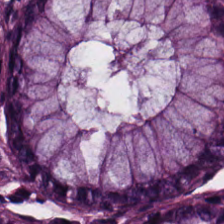{"tissue_type": "normal colonic mucosa"}
